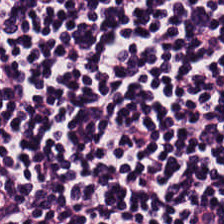FFPE tissue section. H&E. 0.5 µm/px. The tissue type is lymphoid infiltrate.
